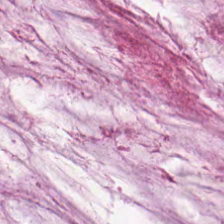Whole-slide-image patch; H&E. Predominant tissue: mucin.
